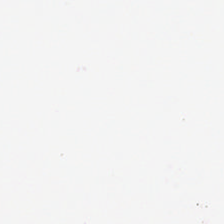Classification — background.
